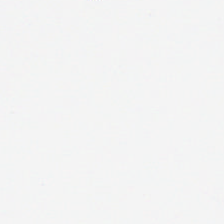224×224 px patch · H&E-stained tissue section. The content is background.
